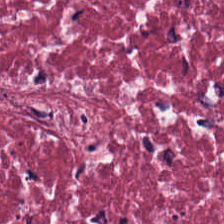Tissue class: tumor-associated stroma.
